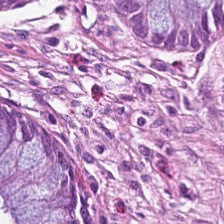H&E.
Finding — non-neoplastic colon mucosa.
